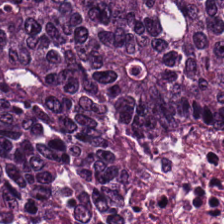Stain: hematoxylin-and-eosin stained section.
Preparation: FFPE.
Classification: tumor epithelium.
